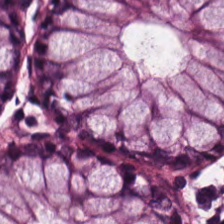Hematoxylin-and-eosin stained section.
Histology → benign colonic mucosa.
